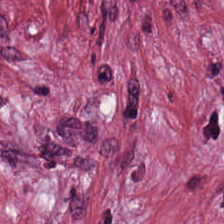20× equivalent magnification. H&E-stained tissue section. 224×224 px tile — The tissue here is tumor stroma.
